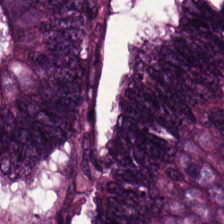Hematoxylin and eosin — Predominantly adenocarcinoma.
